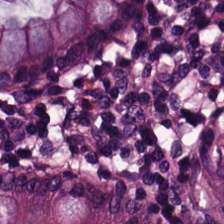FFPE; hematoxylin and eosin; 0.5 microns per pixel — Finding → normal colonic mucosa.
